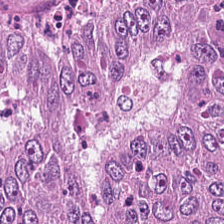Q: What tissue is shown?
A: The field shows adenocarcinoma.
